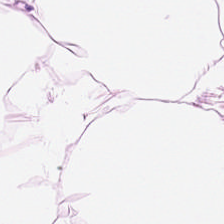Hematoxylin and eosin. Tissue — adipocytes.
